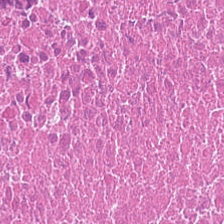This patch shows necrotic debris.
